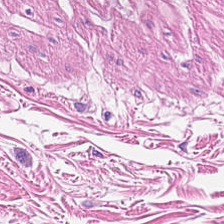Stain: H&E-stained tissue section.
Tissue class: muscularis.
